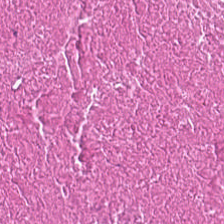H&E stain; 20× equivalent magnification; brightfield. Tissue type = debris.
